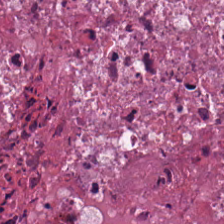Hematoxylin-and-eosin stained section. Tissue = cellular debris.
